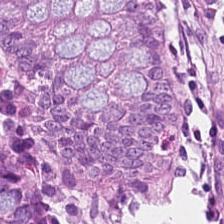Histology — normal colonic mucosa.
